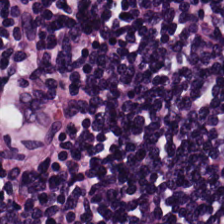H&E stain.
Q: What does this patch show?
A: Lymphocytes.
